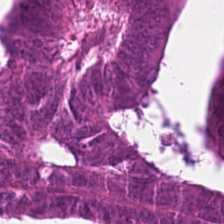The predominant tissue is tumor epithelium.
